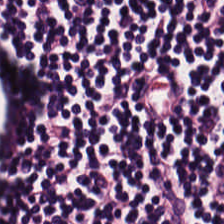Q: Classify this patch.
A: Lymphoid infiltrate.
